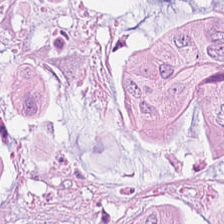Tissue — colorectal adenocarcinoma.
